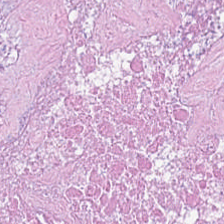Stain: hematoxylin and eosin.
Tissue class: debris.
